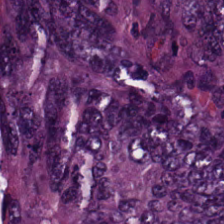Whole-slide-image patch. FFPE tissue section. H&E — Tissue class = colorectal adenocarcinoma.
